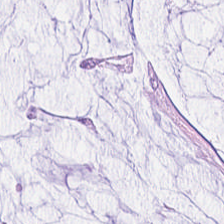224×224 pixel tile. H&E.
Showing mucin.
